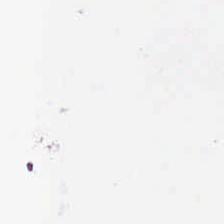Hematoxylin and eosin. This field is background (no tissue).
